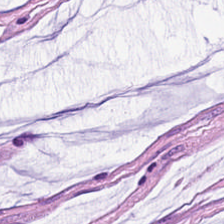Hematoxylin and eosin. Tissue class = mucus.
